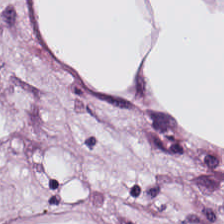The tissue type is adipocytes.
